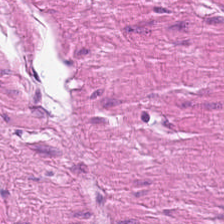H&E; FFPE tissue section.
Impression — smooth-muscle tissue.
